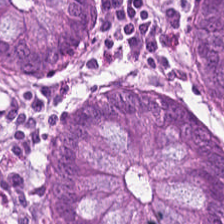Stain: H&E.
Predominant tissue: normal colonic mucosa.
